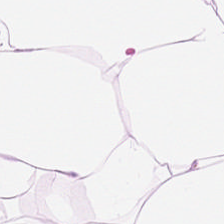Brightfield; hematoxylin and eosin — The tissue here is adipose.
